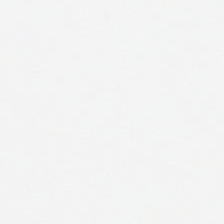Stain: hematoxylin and eosin.
Classification: background (no tissue).
